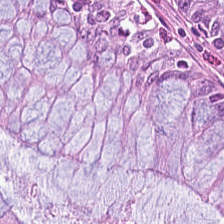H&E-stained tissue section; 224×224 px patch. Non-neoplastic colon mucosa.
